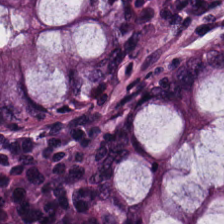H&E stain.
Q: What type of tissue is this?
A: The field shows normal colonic mucosa.
